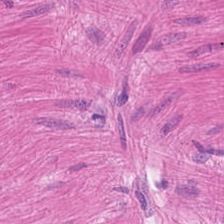Stain: hematoxylin and eosin.
Tissue type: smooth muscle.
